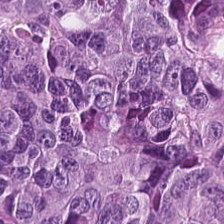Hematoxylin and eosin — Tissue class = colorectal adenocarcinoma.
